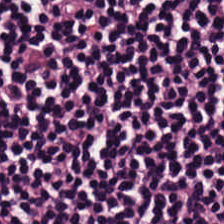H&E stain.
Predominantly lymphocyte aggregate.
